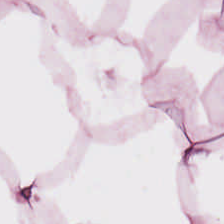Stain: H&E-stained tissue section.
Preparation: formalin-fixed paraffin-embedded section.
Acquisition: WSI patch.
Tissue: fat tissue.
